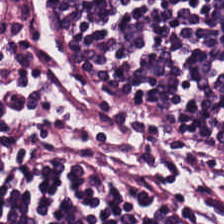Hematoxylin and eosin — The predominant tissue is lymphoid infiltrate.
